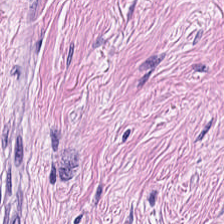0.5 microns per pixel · H&E — {"tissue_type": "cancer-associated stroma"}
